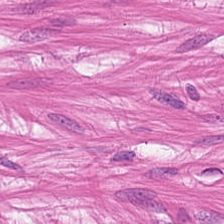H&E. Classification = muscularis.
